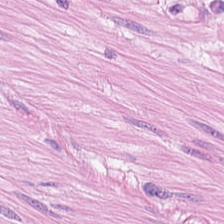Q: What tissue is shown?
A: This is smooth muscle.
